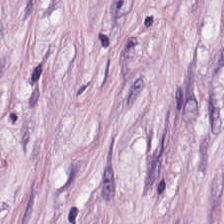Hematoxylin-and-eosin stained section.
Tumor stroma.
